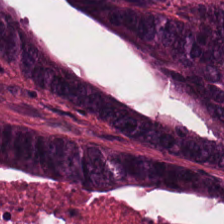0.5 µm per pixel; H&E-stained tissue section. The tissue is malignant epithelium.
